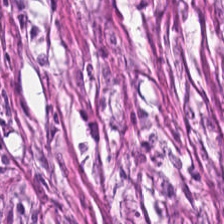Stain: H&E stain.
Predominant tissue: cancer-associated stroma.
